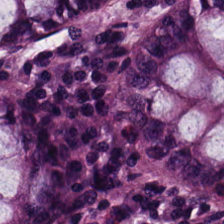FFPE · H&E stain.
Normal colon mucosa.
